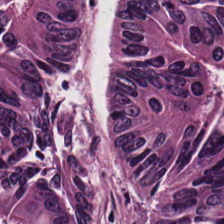Brightfield; H&E — This field is tumor epithelium.
